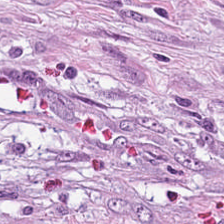Formalin-fixed paraffin-embedded section; H&E stain; whole-slide-image patch.
Q: What is shown in this field?
A: Tumor-associated stroma.
